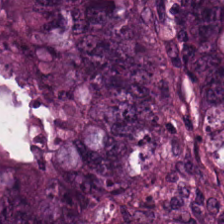Brightfield; H&E-stained tissue section — Tissue type: colorectal adenocarcinoma epithelium.
